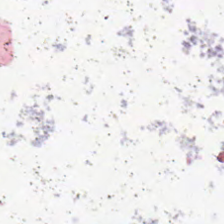224×224 px patch · H&E stain.
Content — no tissue.
